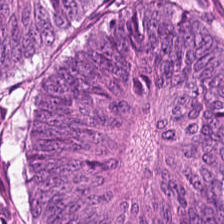224×224 px tile. H&E stain. Tissue — malignant epithelium.
